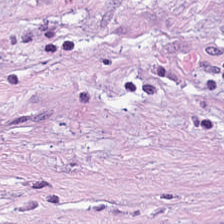H&E-stained tissue section.
Tissue type = tumor stroma.
